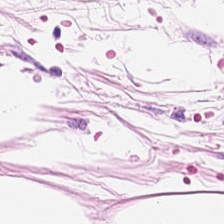Stain: H&E-stained tissue section.
Tissue class: fat tissue.
